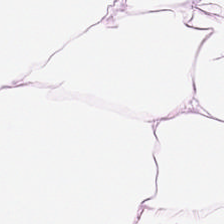Showing adipose tissue.
